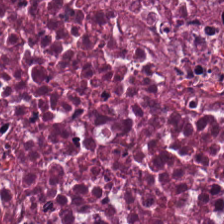Predominantly cellular debris.
